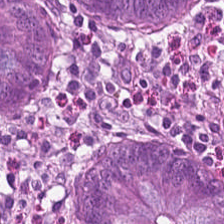224×224 px patch. Hematoxylin-and-eosin stained section.
Showing benign colonic mucosa.
